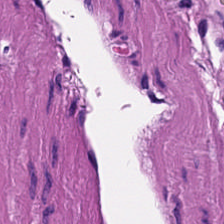FFPE · hematoxylin-and-eosin stained section · brightfield. Muscularis.
